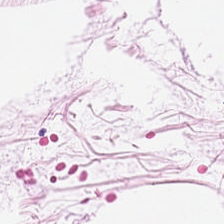H&E; FFPE — Predominantly adipocytes.
